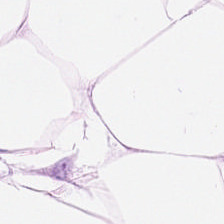H&E stain — Predominantly adipose.
